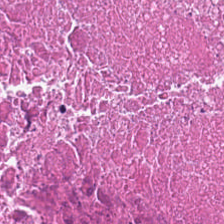Hematoxylin and eosin; whole-slide-image patch. Classification: debris.
